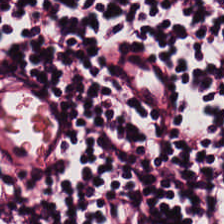20× equivalent magnification. 224×224 pixel tile. H&E — Tissue — lymphoid infiltrate.
